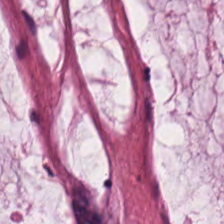H&E-stained tissue section. Tissue type = mucus.
